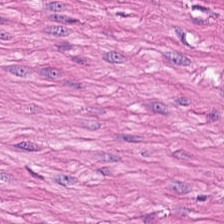H&E stain; 224×224 pixel tile. Q: What is shown here?
A: It is smooth muscle.
